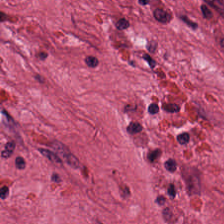224×224 px tile · 20× equivalent magnification · hematoxylin and eosin. Q: What tissue type is shown here?
A: The field shows desmoplastic stroma.
